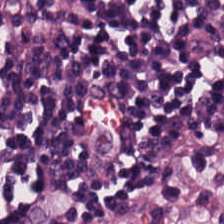Tissue type: lymphocyte aggregate.
